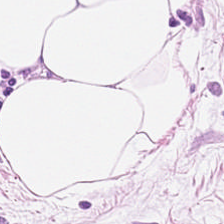H&E patch showing adipose tissue.
